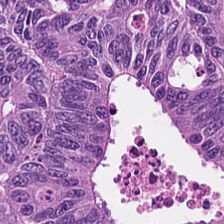FFPE · WSI patch · hematoxylin and eosin.
Showing adenocarcinoma.
